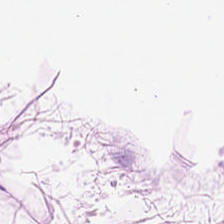H&E-stained tissue section; whole-slide-image patch — Predominantly adipose tissue.
